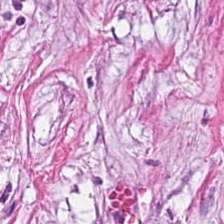Formalin-fixed paraffin-embedded section. H&E stain. 0.5 µm/px — Histology → tumor-associated stroma.
